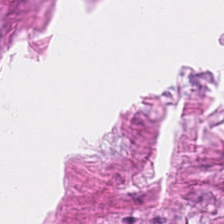Q: Classify this patch.
A: It is cancer-associated stroma.
